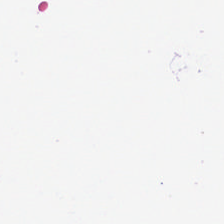Stain: hematoxylin and eosin.
Classification: background (no tissue).
